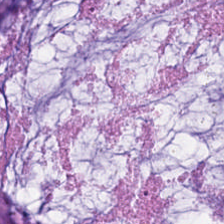Hematoxylin and eosin · brightfield. The predominant tissue is mucin.
